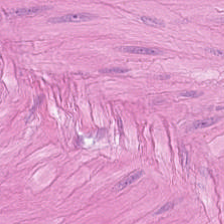Hematoxylin and eosin · whole-slide-image patch.
{"tissue_type": "muscularis"}
